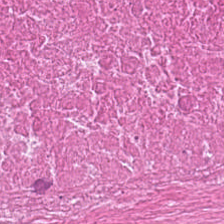Hematoxylin-and-eosin stained section. 0.5 µm/px. 224×224 pixel tile — This patch shows debris.
